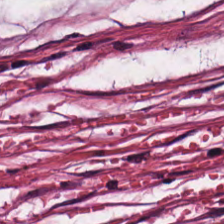224×224 pixel tile. Hematoxylin-and-eosin stained section. Tissue = tumor stroma.
